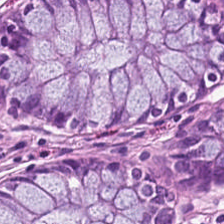H&E-stained section; the field shows benign colonic mucosa.
